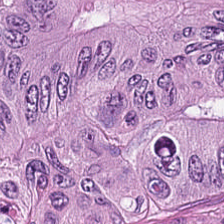H&E. Tissue class — tumor epithelium.
